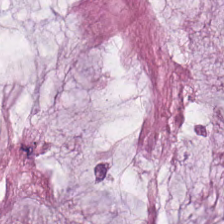FFPE tissue section · hematoxylin-and-eosin stained section · 0.5 µm per pixel. Impression — extracellular mucin.
